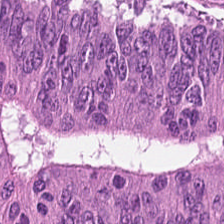H&E-stained tissue section; formalin-fixed paraffin-embedded section; 224×224 px patch. The classification is colorectal adenocarcinoma.
